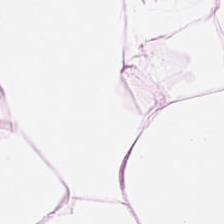H&E; whole-slide-image patch. The tissue is adipose tissue.
